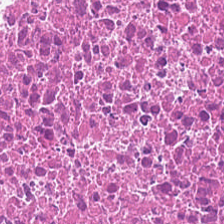Hematoxylin and eosin. Q: Identify the tissue.
A: Necrotic debris.
